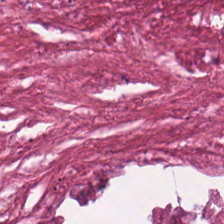224×224 pixel tile. Hematoxylin and eosin. 20× equivalent magnification. The classification is debris.
